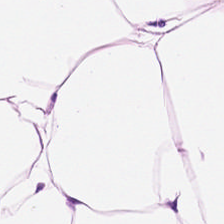Hematoxylin and eosin.
This patch shows adipose tissue.
